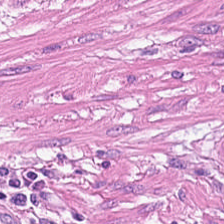Q: Identify the tissue.
A: It is smooth muscle.
